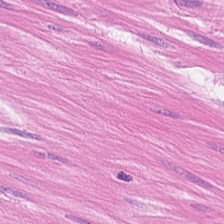Brightfield. Hematoxylin-and-eosin stained section. Predominantly smooth muscle.
